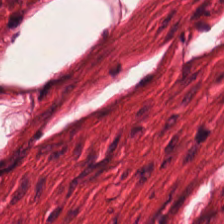Hematoxylin and eosin · 20× equivalent magnification. Tissue: muscularis.
